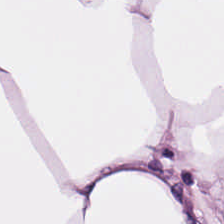Hematoxylin-and-eosin stained section.
{"tissue_type": "fat tissue"}
